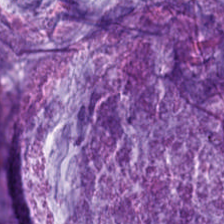20× equivalent magnification. H&E stain. 224×224 px patch — The tissue type is extracellular mucin.
